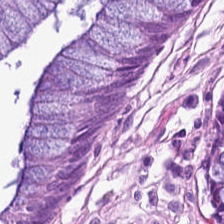Hematoxylin-and-eosin stained section.
This field is normal colonic mucosa.
